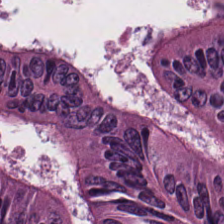Stain: H&E-stained tissue section.
Tissue type: malignant epithelium.
